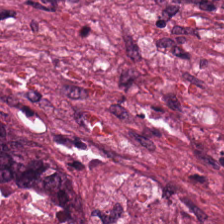H&E-stained tissue section.
Showing debris.
